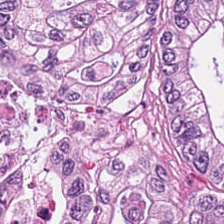Whole-slide-image patch; H&E-stained tissue section. Q: What is the predominant tissue type?
A: This is adenocarcinoma.
